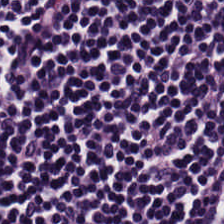H&E stain — Tissue — lymphocytes.
